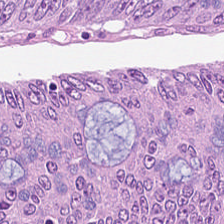H&E stain.
The tissue here is colorectal adenocarcinoma epithelium.
